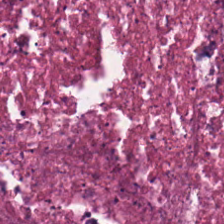The tissue is cellular debris.
